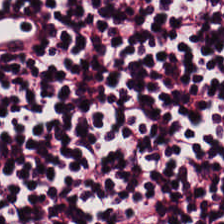Stain: hematoxylin and eosin.
Tile size: 224×224 pixel tile.
Tissue class: lymphocytes.
